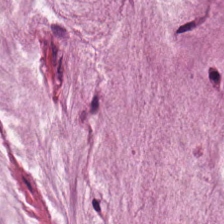Hematoxylin and eosin. Q: Identify the tissue.
A: This is mucus.
